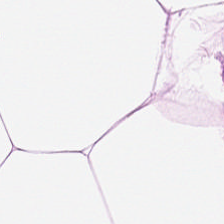224×224 px tile; brightfield; hematoxylin and eosin.
Showing fat tissue.
